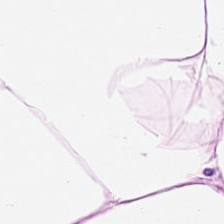Q: Identify the tissue.
A: The field shows fat tissue.
